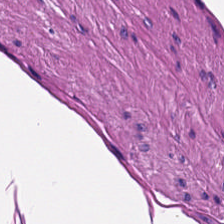224×224 px patch · hematoxylin and eosin — Tissue: muscularis.
